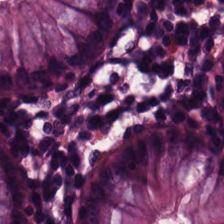Q: What is shown in this field?
A: Normal colon mucosa.
